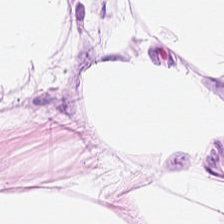Predominantly fat tissue.
